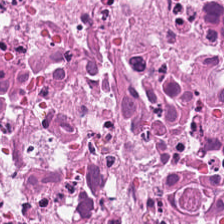0.5 µm/px. H&E stain. Cellular debris.
